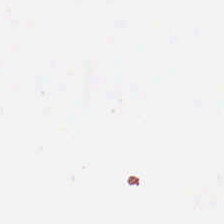H&E · FFPE tissue section — Q: Classify this patch.
A: It is background.
